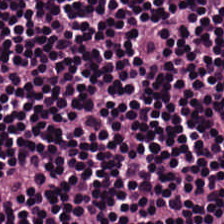224×224 pixel tile · hematoxylin and eosin · whole-slide-image patch — This patch shows lymphocytes.
